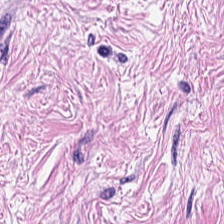224×224 px tile · H&E stain · FFPE tissue section.
Finding — desmoplastic stroma.
